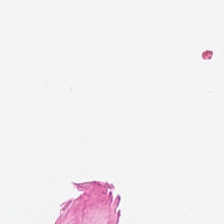H&E stain. Q: What is shown in this field?
A: The field shows empty background.
